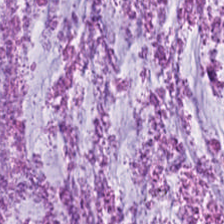Whole-slide-image patch. H&E. The tissue here is mucin.
